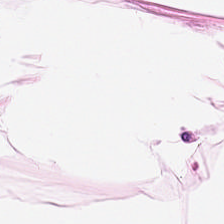H&E stain. Q: What tissue is shown?
A: This is adipose.
